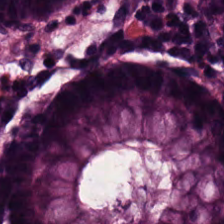H&E stain · 0.5 microns per pixel — Tissue class — normal colonic mucosa.
